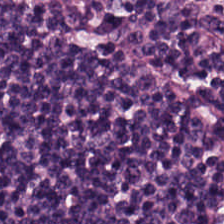H&E stain; 20× equivalent magnification; whole-slide-image patch — The tissue here is lymphocyte aggregate.
